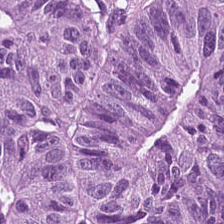0.5 µm per pixel; 224×224 pixel tile; H&E-stained tissue section — This field is tumor epithelium.
